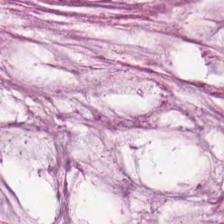H&E stain. 224×224 px patch.
The tissue type is mucin.
